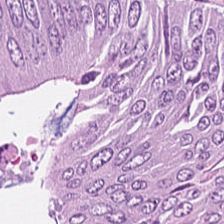Brightfield. H&E-stained tissue section.
This patch shows adenocarcinoma.
